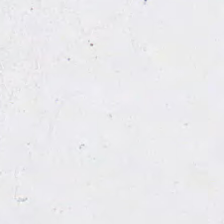Hematoxylin-and-eosin stained section.
This patch shows no tissue.
